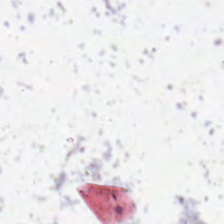Formalin-fixed paraffin-embedded section · hematoxylin-and-eosin stained section · 224×224 px tile.
{"content": "background (no tissue)"}
